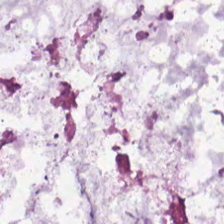H&E-stained tissue section.
The predominant tissue is mucus.
